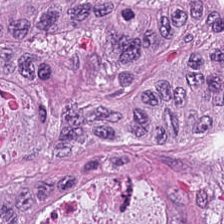H&E — The classification is tumor epithelium.
